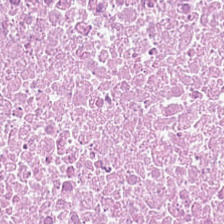H&E-stained tissue section. The tissue here is cellular debris.
